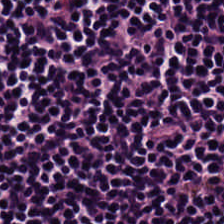Hematoxylin-and-eosin stained section — The tissue here is lymphocyte aggregate.
